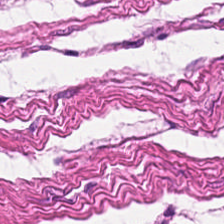H&E. Finding — smooth-muscle tissue.
